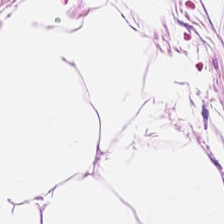H&E · FFPE. The tissue class is adipose tissue.
